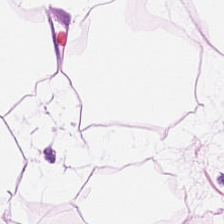Tissue type — adipose tissue.
